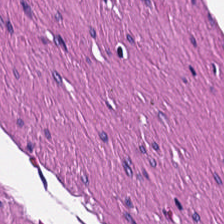H&E.
Predominantly muscularis.
